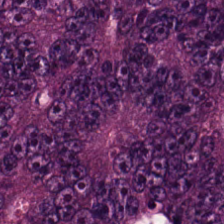Hematoxylin-and-eosin stained section.
Q: Classify this patch.
A: It is tumor epithelium.
